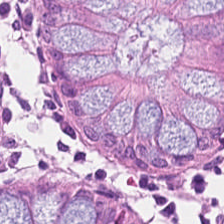0.5 µm/px; hematoxylin-and-eosin stained section — Tissue class — normal colonic mucosa.
